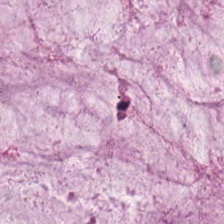The classification is mucin.
